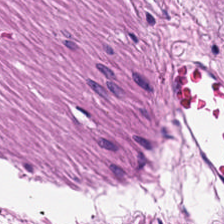FFPE tissue section. 224×224 pixel tile. H&E — This patch shows smooth-muscle tissue.
